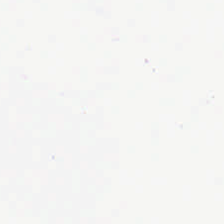Hematoxylin-and-eosin stained section — Background — no tissue in this field.
